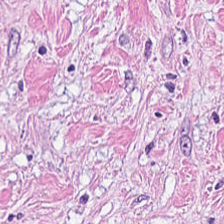H&E stain. FFPE tissue section — Tissue type = tumor stroma.
